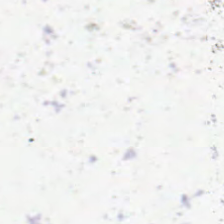Q: What does this patch show?
A: No tissue.
